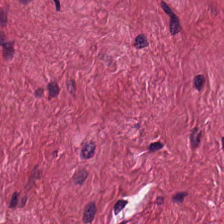0.5 µm per pixel · FFPE tissue section · hematoxylin-and-eosin stained section.
This patch shows tumor stroma.
